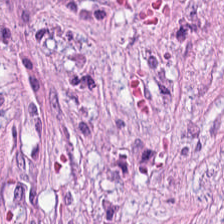H&E. WSI patch — Q: What type of tissue is this?
A: Cancer-associated stroma.
